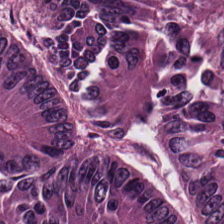H&E-stained tissue section showing adenocarcinoma.
